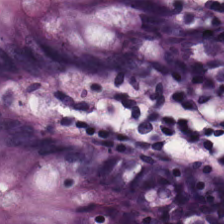H&E stain · 224×224 px tile.
The predominant tissue is non-neoplastic colon mucosa.
